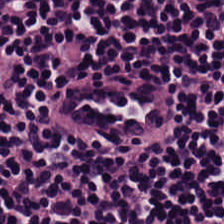Hematoxylin and eosin. Brightfield. FFPE tissue section — This patch shows lymphocytes.
